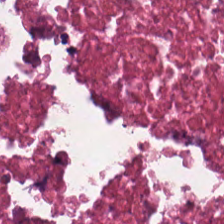{"tissue_type": "necrotic debris"}
